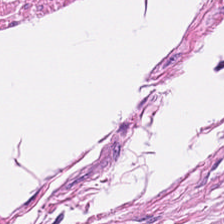Hematoxylin and eosin.
Smooth-muscle tissue.
